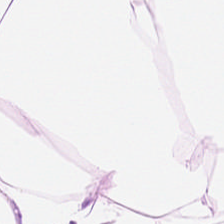Stain: H&E-stained tissue section.
Tissue type: adipocytes.
